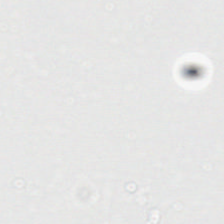Hematoxylin and eosin.
{"content": "no tissue"}
